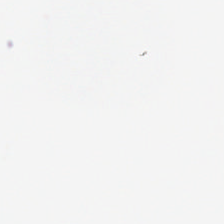Stain: hematoxylin and eosin.
Field content: background.
